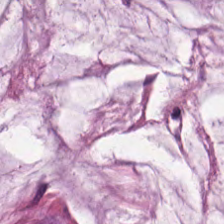H&E · brightfield microscopy. Predominant tissue = mucin.
